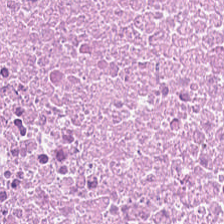The tissue class is necrotic debris.
